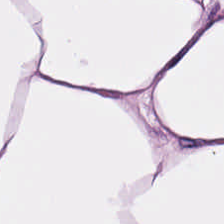H&E.
Finding → adipose.
